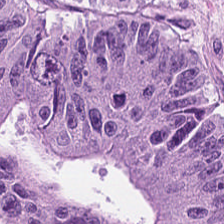H&E stain. Tissue class: colorectal adenocarcinoma epithelium.
